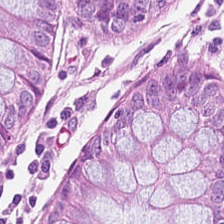H&E — Tissue class: normal colonic mucosa.
